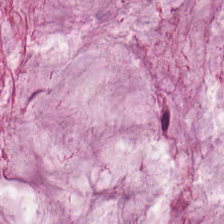Stain: H&E-stained tissue section.
Classification: mucus.
